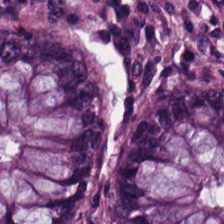Finding — benign colonic mucosa.
